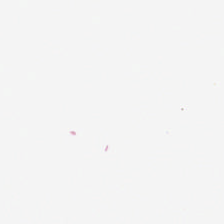Stain: hematoxylin and eosin.
Acquisition: WSI patch.
Preparation: formalin-fixed paraffin-embedded section.
Content: background (no tissue).
